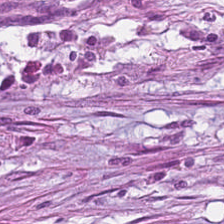H&E stain — Q: Classify this patch.
A: Tumor-associated stroma.
